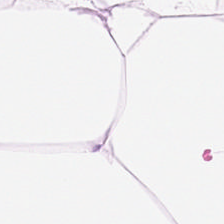Hematoxylin and eosin. This field is adipose tissue.
